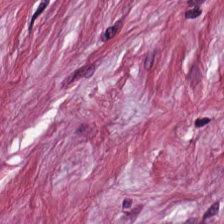H&E-stained tissue section. Tumor stroma.
